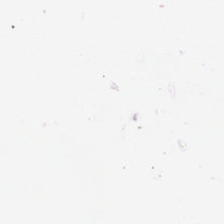H&E stain — Q: What does this patch show?
A: The field shows background.
